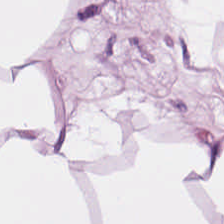Hematoxylin and eosin.
Q: What is shown in this field?
A: It is adipose tissue.
